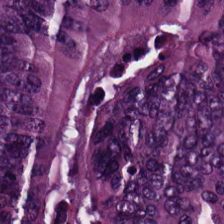0.5 microns per pixel. WSI patch. H&E stain. Showing tumor epithelium.
